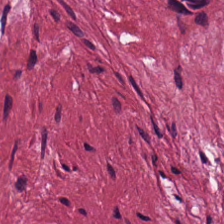Hematoxylin-and-eosin stained section. 0.5 µm/px.
Predominantly cancer-associated stroma.
